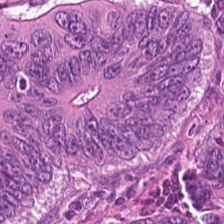0.5 microns per pixel. H&E stain — Q: What tissue is shown?
A: Malignant epithelium.
